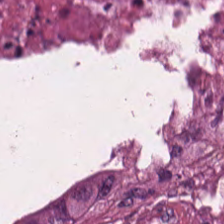H&E-stained tissue section. 20× equivalent magnification.
Showing debris.
